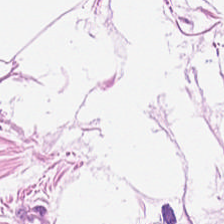Q: What is shown here?
A: The field shows adipocytes.
